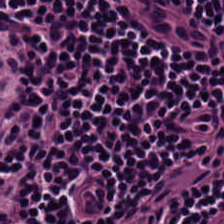H&E-stained tissue section · 0.5 microns per pixel. Finding → lymphocyte aggregate.
